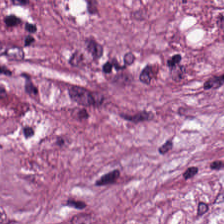This patch shows tumor stroma.
